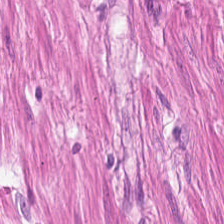H&E — Predominantly muscularis.
